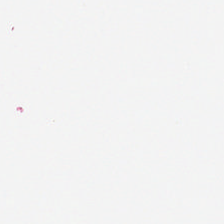H&E-stained tissue section. This patch shows background.
